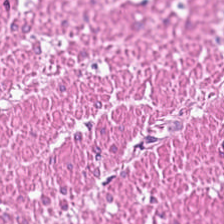H&E — muscularis.
